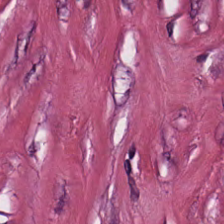H&E-stained tissue section; 0.5 microns per pixel.
The predominant tissue is cancer-associated stroma.
